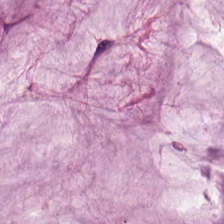This field is mucin.
